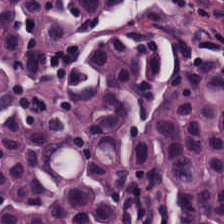H&E-stained tissue section.
Tissue type = lymphocytic infiltrate.
